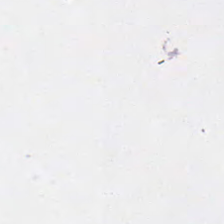Q: What is shown in this field?
A: The field shows empty background.
